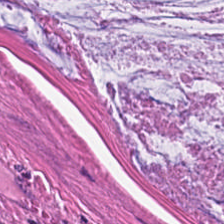224×224 pixel tile · hematoxylin-and-eosin stained section · FFPE tissue section.
This patch shows mucin.
